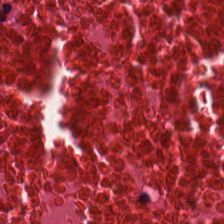H&E stain. Classification — debris.
